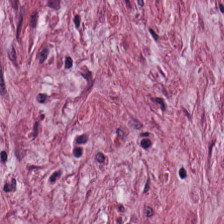224×224 px tile; H&E stain — Classification — desmoplastic stroma.
